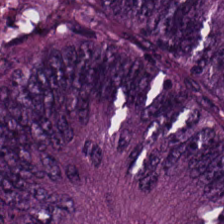Q: What type of tissue is this?
A: The field shows tumor epithelium.
